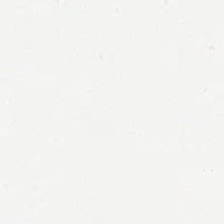H&E.
{"content": "empty background"}
